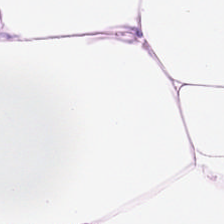Stain: H&E stain.
Resolution: 0.5 µm/px.
Classification: adipose tissue.
